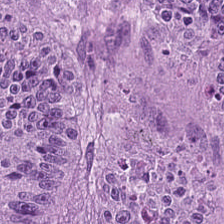Hematoxylin-and-eosin stained section — Tumor epithelium.
